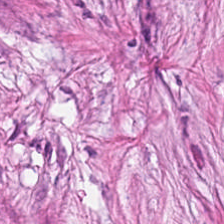224×224 px tile; formalin-fixed paraffin-embedded section; H&E stain — Classification = desmoplastic stroma.
